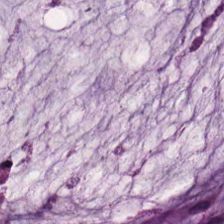Hematoxylin-and-eosin stained section. 0.5 µm per pixel. Tissue type = mucus.
